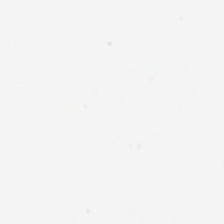Stain: H&E stain.
Acquisition: brightfield microscopy.
Tile size: 224×224 pixel tile.
Content: no tissue.
